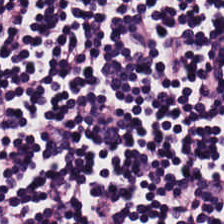Hematoxylin-and-eosin stained section; 224×224 px patch.
Showing lymphocyte aggregate.
